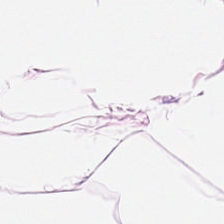H&E-stained section; the field shows adipose.
